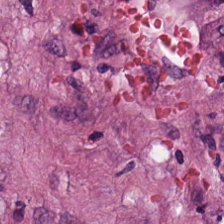H&E stain. Tissue: tumor stroma.
